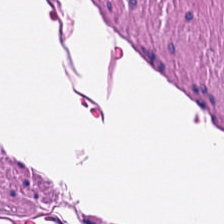H&E-stained tissue section.
Tissue — muscularis.
